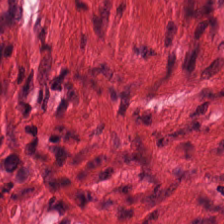Brightfield microscopy. 0.5 microns per pixel. H&E-stained tissue section. The predominant tissue is smooth-muscle tissue.
